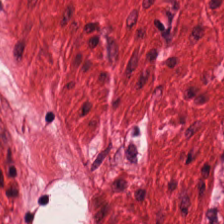Q: Identify the tissue.
A: Smooth muscle.
